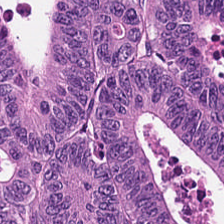224×224 px tile · hematoxylin and eosin. Finding → malignant epithelium.
